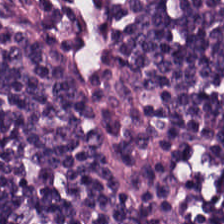Hematoxylin-and-eosin stained section · 0.5 microns per pixel — Tissue: lymphoid infiltrate.
